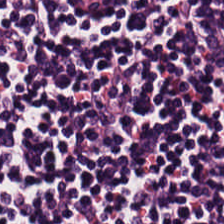Hematoxylin and eosin. The classification is lymphocyte aggregate.
